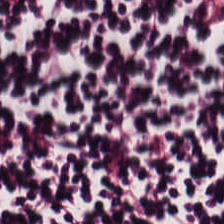Tissue class: lymphocytic infiltrate.
